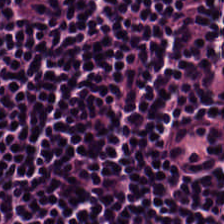H&E; 224×224 pixel tile — Predominantly lymphocytic infiltrate.
